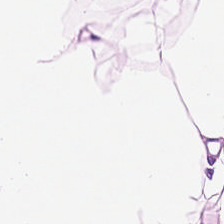Hematoxylin and eosin; 224×224 px tile. Showing fat tissue.
